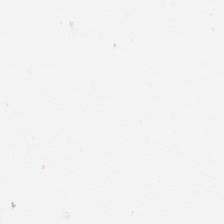FFPE · H&E stain.
Impression — empty background.
